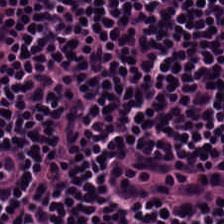Hematoxylin and eosin. Brightfield. The predominant tissue is lymphocytic infiltrate.
